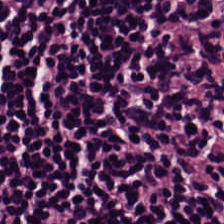Hematoxylin and eosin — The predominant tissue is lymphocytic infiltrate.
